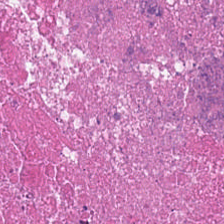H&E — necrotic debris.
